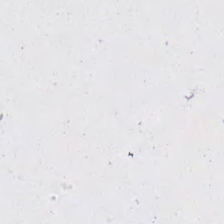Hematoxylin and eosin — The content is no tissue.
